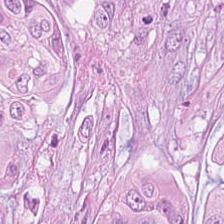Stain: hematoxylin-and-eosin stained section.
Tile size: 224×224 px tile.
Tissue class: tumor epithelium.
